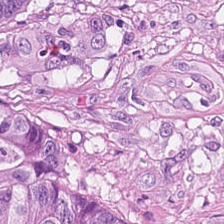Predominantly adenocarcinoma.
